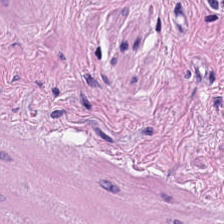H&E stain. Predominantly smooth-muscle tissue.
